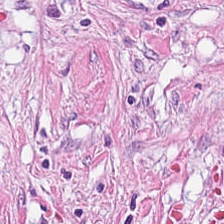H&E stain; 0.5 microns per pixel — {"tissue_type": "tumor-associated stroma"}
